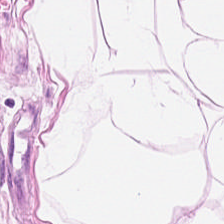Q: What is the predominant tissue type?
A: It is adipocytes.
